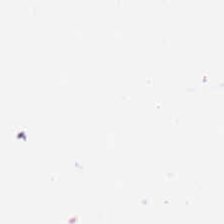Classification = background.
